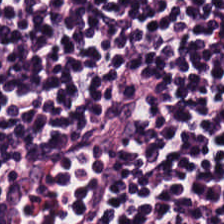H&E stain · WSI patch. Q: Identify the tissue.
A: This is lymphocytic infiltrate.
